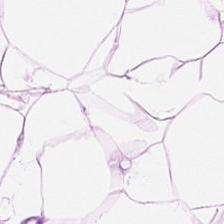Hematoxylin-and-eosin stained section.
Tissue class: adipocytes.
